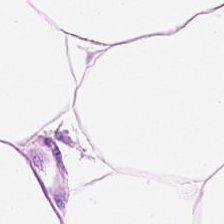H&E patch showing adipose tissue.
